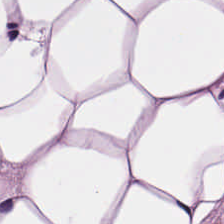Hematoxylin and eosin — Adipose.
